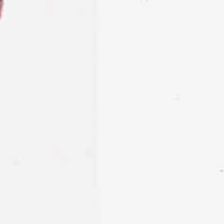H&E-stained tissue section — Classification = empty background.
